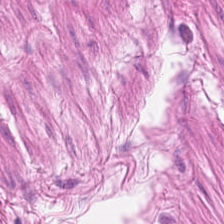Classification = smooth-muscle tissue.
